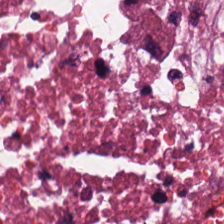Hematoxylin and eosin. {"tissue_type": "necrotic debris"}
